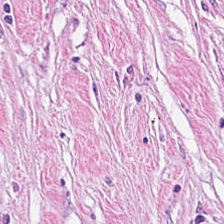Brightfield microscopy · H&E. Tissue class: cancer-associated stroma.
